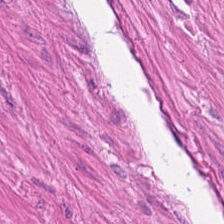224×224 pixel tile · hematoxylin-and-eosin stained section — This patch shows smooth-muscle tissue.
